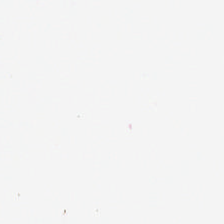0.5 µm per pixel. Hematoxylin and eosin — Impression → no tissue.
